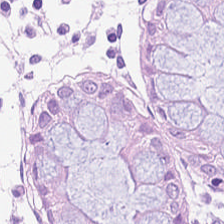{"tissue_type": "normal colon mucosa"}
